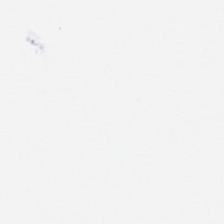H&E stain. Brightfield. Finding — background (no tissue).
